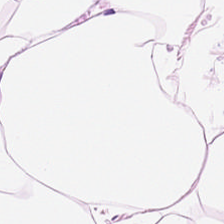Stain: hematoxylin and eosin.
Tile size: 224×224 pixel tile.
Classification: adipose tissue.
